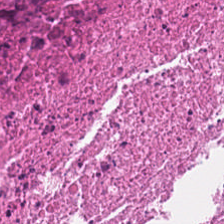Hematoxylin and eosin — The tissue class is necrotic debris.
